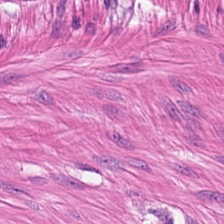Hematoxylin-and-eosin stained section · 0.5 microns per pixel · formalin-fixed paraffin-embedded section.
Predominantly muscularis.
